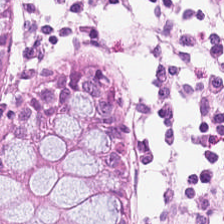H&E-stained tissue section — Showing benign colonic mucosa.
